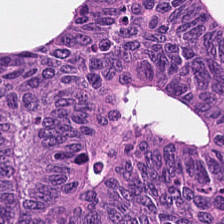Tissue — colorectal adenocarcinoma.
